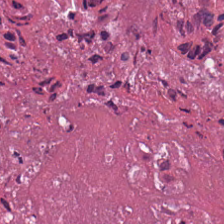The tissue type is necrotic debris.
